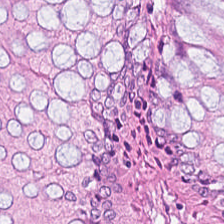The tissue here is normal colon mucosa.
